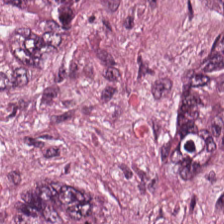WSI patch. H&E stain.
The predominant tissue is adenocarcinoma.
